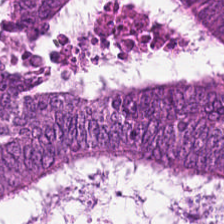Hematoxylin and eosin. 0.5 µm/px. The predominant tissue is malignant epithelium.
